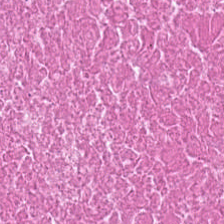Q: What does this patch show?
A: The field shows debris.
